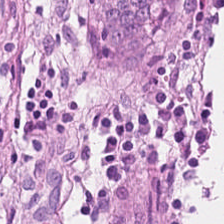Brightfield microscopy; H&E-stained tissue section. The predominant tissue is non-neoplastic colon mucosa.
